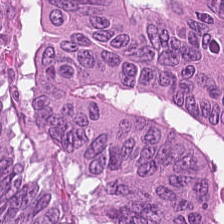Hematoxylin-and-eosin section: colorectal adenocarcinoma.
